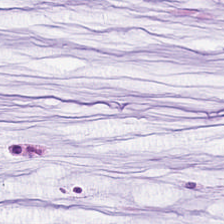Histology — extracellular mucin.
